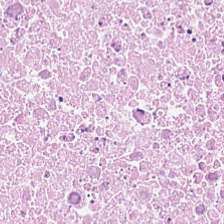H&E-stained tissue section. Finding → debris.
